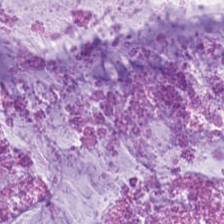H&E-stained tissue section · 224×224 pixel tile · brightfield microscopy — Histology — mucin.
